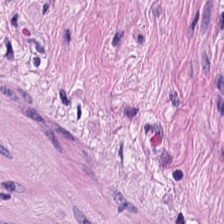H&E-stained tissue section. Showing smooth-muscle tissue.
